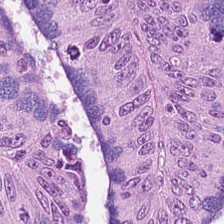H&E. Q: What is shown in this field?
A: The field shows malignant epithelium.
